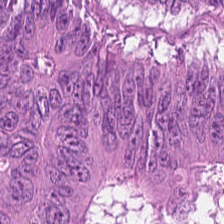H&E — Impression → tumor epithelium.
